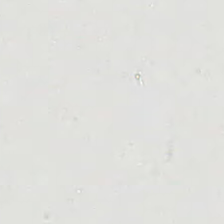H&E-stained tissue section — This patch shows background (no tissue).
